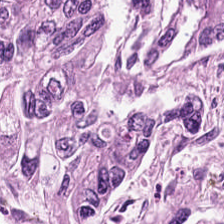H&E. FFPE — The classification is adenocarcinoma.
